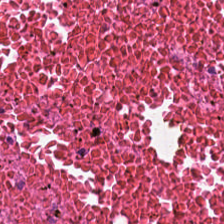20× equivalent magnification. H&E stain.
Tissue = debris.
